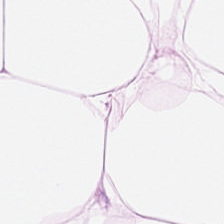Tissue = fat tissue.
